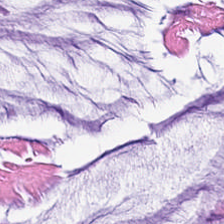Stain: H&E stain.
Tissue class: mucin.
